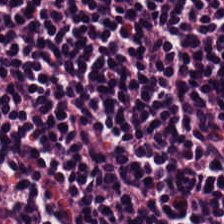Hematoxylin-and-eosin section: lymphocytes.
